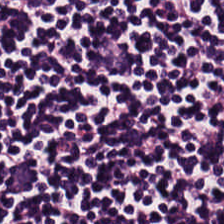Hematoxylin-and-eosin stained section — Q: Identify the tissue.
A: It is lymphocytes.
